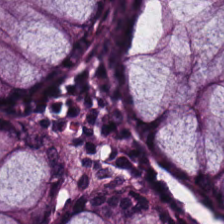H&E — Non-neoplastic colon mucosa.
